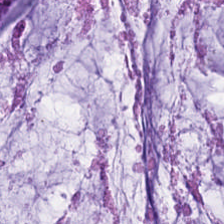Hematoxylin and eosin — Q: What tissue is shown?
A: This is mucus.
